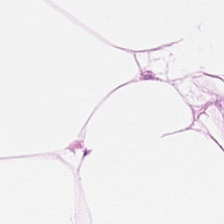Formalin-fixed paraffin-embedded section; hematoxylin and eosin — Classification — adipose.
